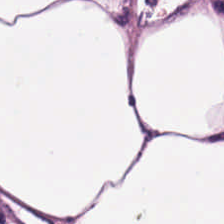224×224 px patch. Hematoxylin-and-eosin stained section. Fat tissue.
